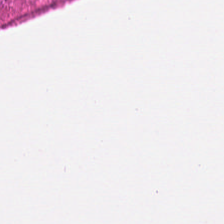Stain: hematoxylin and eosin.
Predominant tissue: muscularis.
